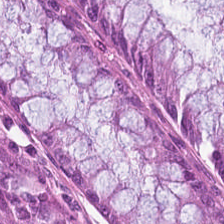20× equivalent magnification. H&E stain.
Q: Identify the tissue.
A: It is normal colonic mucosa.
